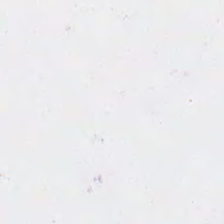Stain: hematoxylin-and-eosin stained section.
Preparation: FFPE tissue section.
Tile size: 224×224 px patch.
Field content: background (no tissue).
